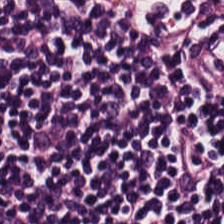This field is lymphoid infiltrate.
